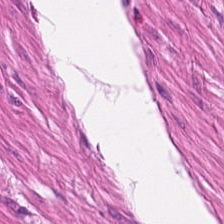H&E-stained tissue section.
The predominant tissue is muscularis.
